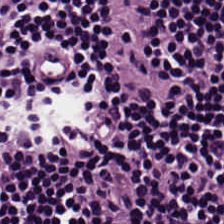H&E stain.
Tissue class = lymphocyte aggregate.
